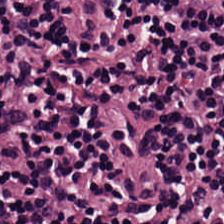Tissue type = lymphocytes.
